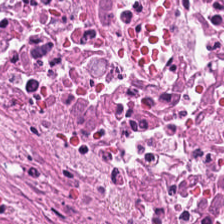Stain: H&E stain.
Preparation: FFPE tissue section.
Resolution: 0.5 microns per pixel.
Tissue class: cellular debris.
